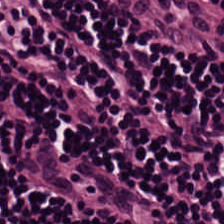H&E. Brightfield — The predominant tissue is lymphocyte aggregate.
